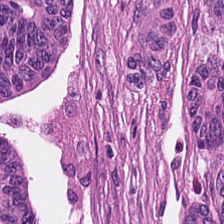H&E. Q: Classify this patch.
A: This is malignant epithelium.
